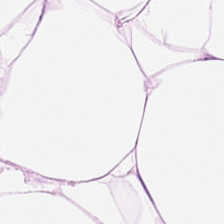Tissue = fat tissue.
